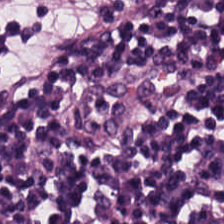0.5 microns per pixel · hematoxylin and eosin. The tissue class is lymphocytes.
